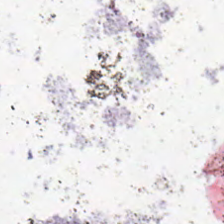0.5 microns per pixel · H&E stain. Content — background (no tissue).
